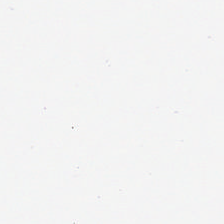20× equivalent magnification · 224×224 px patch · hematoxylin-and-eosin stained section.
Adipocytes.
